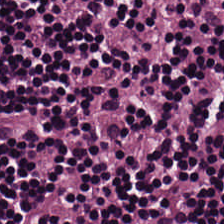H&E-stained tissue section showing lymphocytes.
